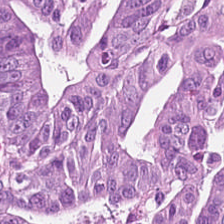H&E-stained tissue section. Predominantly colorectal adenocarcinoma epithelium.
